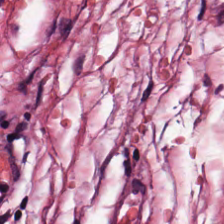0.5 microns per pixel; 224×224 px tile; H&E stain. Tissue: cancer-associated stroma.
